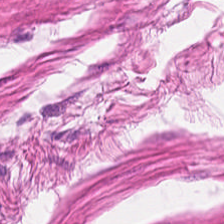Predominantly smooth muscle.
